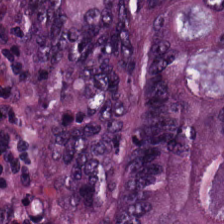Hematoxylin-and-eosin stained section — This patch shows tumor epithelium.
